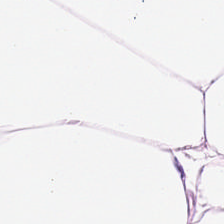0.5 µm per pixel. 224×224 pixel tile. H&E — This patch shows adipose.
